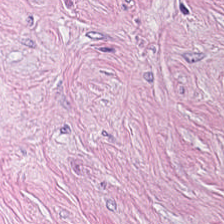H&E stain · WSI patch.
Q: What tissue type is shown here?
A: Desmoplastic stroma.
